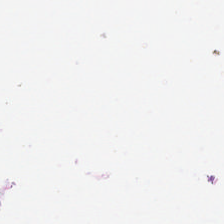H&E — Empty field — background.
